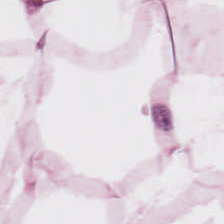Hematoxylin-and-eosin stained section. 224×224 px tile. WSI patch.
Tissue type — adipocytes.
